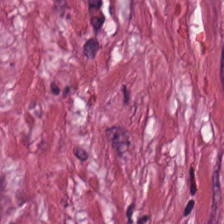224×224 pixel tile. H&E — The tissue here is cancer-associated stroma.
